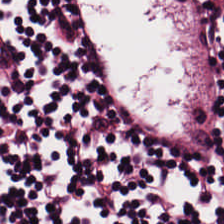Stain: H&E-stained tissue section.
Resolution: 0.5 µm per pixel.
Tile size: 224×224 px patch.
Predominant tissue: lymphocyte aggregate.
